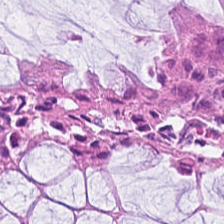0.5 microns per pixel. H&E-stained tissue section. This field is benign colonic mucosa.
